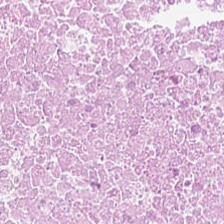H&E stain. 224×224 pixel tile — Showing necrotic debris.
